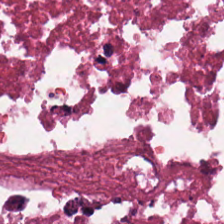H&E-stained tissue section showing necrotic debris.
